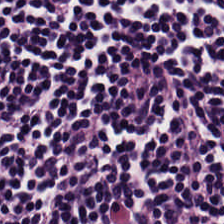Stain: hematoxylin-and-eosin stained section.
Classification: lymphocytes.
